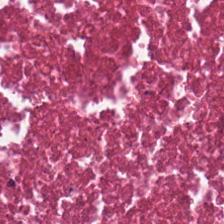Hematoxylin and eosin. This patch shows debris.
